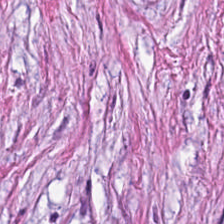H&E · FFPE · 224×224 px tile.
Impression → tumor stroma.
